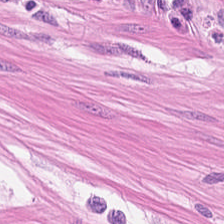Hematoxylin and eosin.
Q: What tissue type is shown here?
A: Muscularis.
